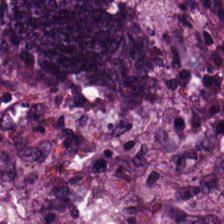This field is colorectal adenocarcinoma.
